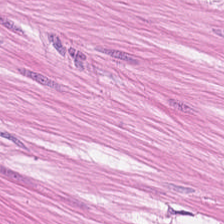H&E-stained tissue section. Predominantly muscularis.
